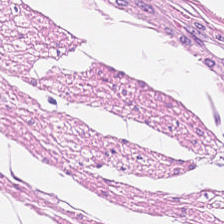Hematoxylin-and-eosin stained section · brightfield. Predominantly muscularis.
